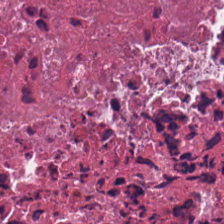Hematoxylin and eosin — Predominantly debris.
